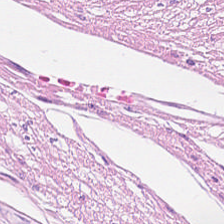FFPE tissue section; brightfield microscopy; hematoxylin and eosin — This patch shows smooth muscle.
